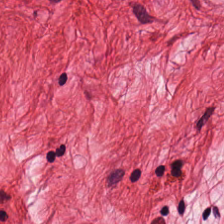Stain: H&E stain.
Tile size: 224×224 px patch.
Tissue class: smooth muscle.
